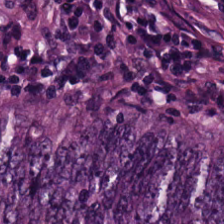This field is colorectal adenocarcinoma.
